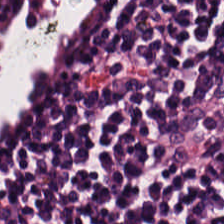Tissue type = lymphocyte aggregate.
